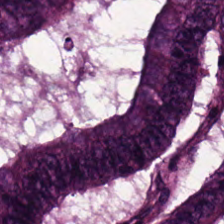This patch shows colorectal adenocarcinoma.
